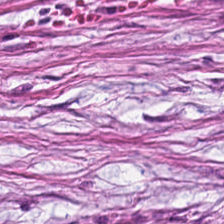H&E stain. FFPE.
This field is cancer-associated stroma.
